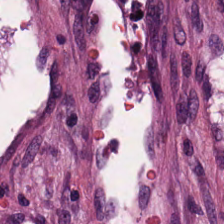Stain: H&E-stained tissue section.
Classification: cancer-associated stroma.
